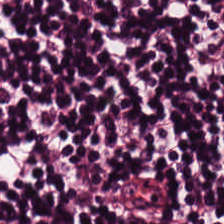H&E-stained tissue section; FFPE.
Predominantly lymphocytic infiltrate.
